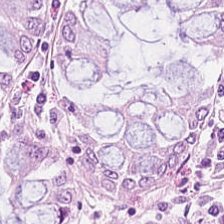Q: What is shown in this field?
A: This is benign colonic mucosa.
